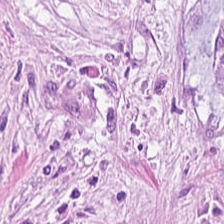H&E-stained tissue section. The tissue here is desmoplastic stroma.
